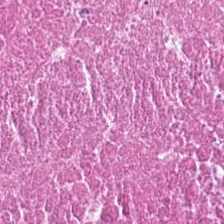Whole-slide-image patch · hematoxylin and eosin — Q: What is shown in this field?
A: Cellular debris.
